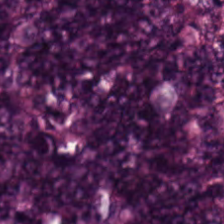H&E-stained tissue section.
This patch shows malignant epithelium.
